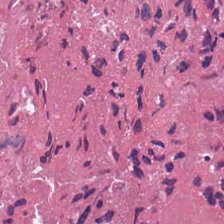This field is debris.
